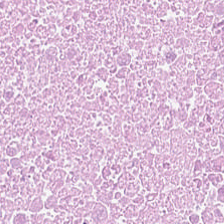20× equivalent magnification · hematoxylin-and-eosin stained section · formalin-fixed paraffin-embedded section — Showing necrotic debris.
